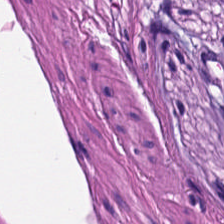Stain: hematoxylin and eosin.
Acquisition: brightfield microscopy.
Tissue: smooth muscle.
